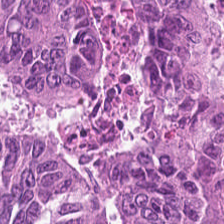0.5 µm/px. H&E-stained tissue section.
The classification is adenocarcinoma.
